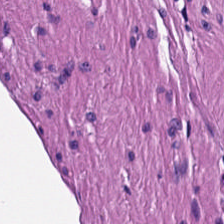Hematoxylin and eosin.
Smooth muscle.
